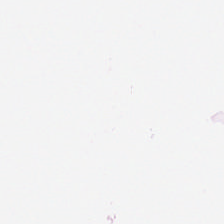H&E-stained tissue section. Q: Identify the tissue.
A: This is adipocytes.
